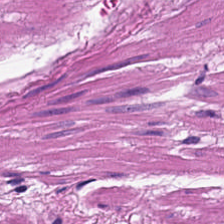H&E. {"tissue_type": "smooth-muscle tissue"}
